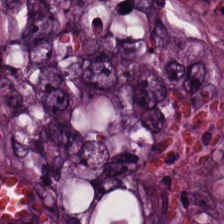WSI patch; 224×224 px patch; H&E-stained tissue section — Tissue class — tumor epithelium.
